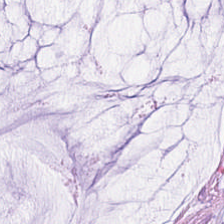20× equivalent magnification. Hematoxylin and eosin. This patch shows mucin.
